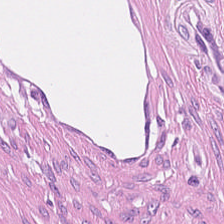224×224 px patch. H&E stain. {"tissue_type": "desmoplastic stroma"}
